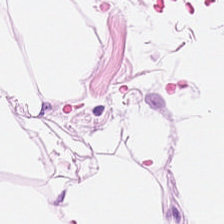H&E — Adipose tissue.
